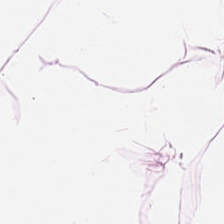Stain: H&E.
Tissue: adipose.
